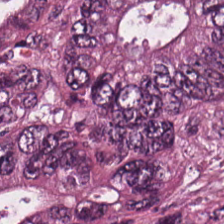Hematoxylin and eosin.
Q: What tissue type is shown here?
A: Colorectal adenocarcinoma epithelium.
